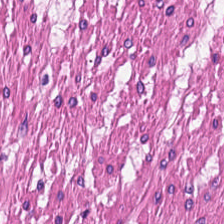Classification = smooth muscle.
